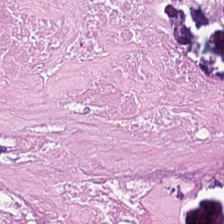Hematoxylin-and-eosin stained section. 224×224 px patch. 0.5 µm/px.
Tissue class — necrotic debris.
